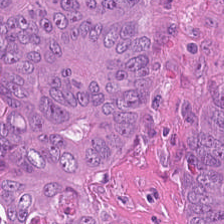Brightfield. Hematoxylin and eosin. 224×224 pixel tile — The tissue here is tumor epithelium.
